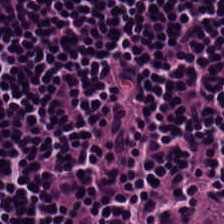H&E.
{"tissue_type": "lymphocytes"}
